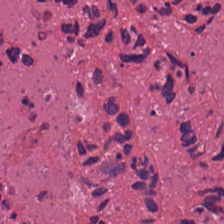Tissue class = necrotic debris.
